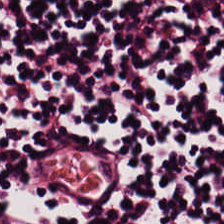The tissue type is lymphocytic infiltrate.
